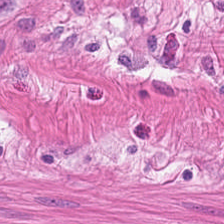Hematoxylin-and-eosin stained section — Tissue type — muscularis.
